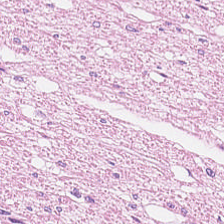Brightfield microscopy · H&E-stained tissue section — Q: What does this patch show?
A: Muscularis.
